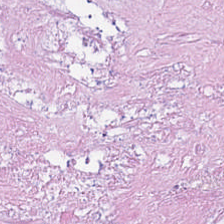The tissue here is cellular debris.
